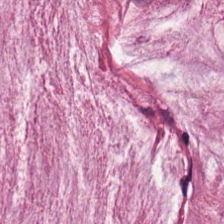Stain: H&E-stained tissue section.
Predominant tissue: extracellular mucin.
